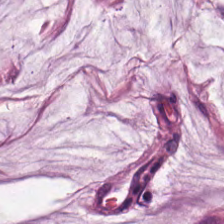224×224 px tile. 0.5 µm per pixel. Hematoxylin-and-eosin stained section.
The predominant tissue is extracellular mucin.
